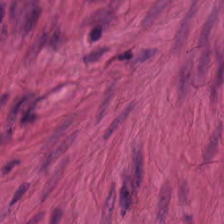224×224 px patch · hematoxylin and eosin — {"tissue_type": "smooth-muscle tissue"}
